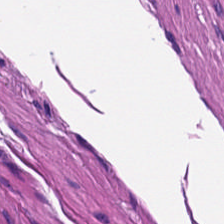H&E-stained tissue section — Tissue type — muscularis.
